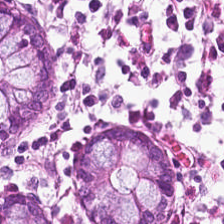Stain: hematoxylin and eosin.
Tissue: normal colon mucosa.
